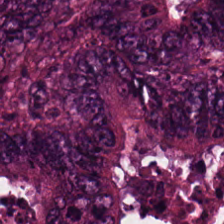Formalin-fixed paraffin-embedded section. Whole-slide-image patch. Hematoxylin and eosin.
Q: What is shown in this field?
A: The field shows colorectal adenocarcinoma.
